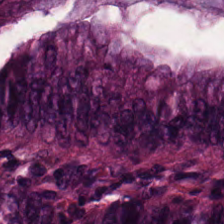224×224 px patch; whole-slide-image patch; H&E. Showing colorectal adenocarcinoma.
